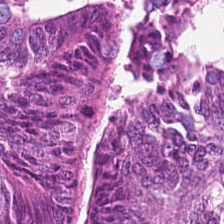Hematoxylin and eosin — Predominantly tumor epithelium.
